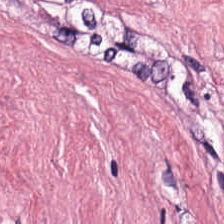0.5 microns per pixel; H&E-stained tissue section.
Cancer-associated stroma.
